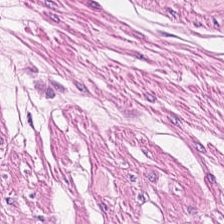H&E-stained tissue section. FFPE. Classification — smooth muscle.
